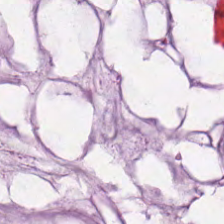Brightfield; H&E stain.
Showing mucus.
